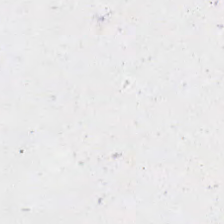Hematoxylin and eosin. Q: What does this patch show?
A: It is no tissue.
